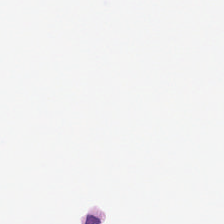Stain: hematoxylin-and-eosin stained section.
Field content: background (no tissue).
